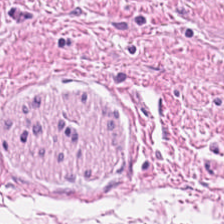0.5 µm/px. H&E — Q: What is the predominant tissue type?
A: This is muscularis.
